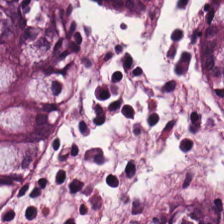Impression → normal colonic mucosa.
